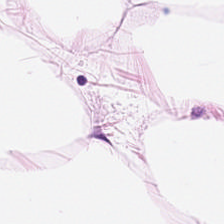H&E-stained tissue section. 0.5 µm per pixel. Finding — adipocytes.
